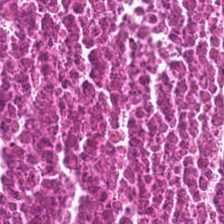H&E. Tissue class: cellular debris.
